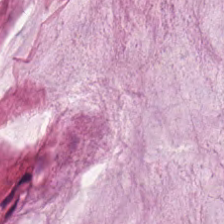H&E stain; 0.5 µm/px; brightfield microscopy. The predominant tissue is mucin.
